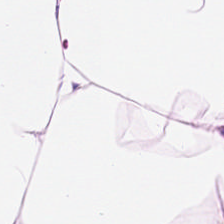224×224 px patch; H&E-stained tissue section; FFPE tissue section — Q: Classify this patch.
A: It is adipose.
